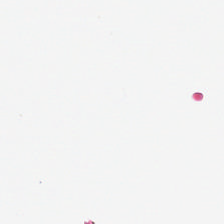H&E stain.
Classification — background.
